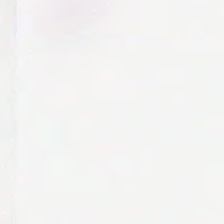Hematoxylin and eosin.
Background (no tissue).
